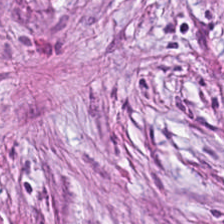Finding — desmoplastic stroma.
